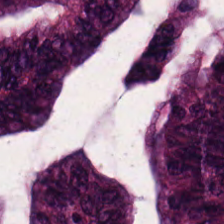FFPE. H&E-stained tissue section. {"tissue_type": "colorectal adenocarcinoma"}
